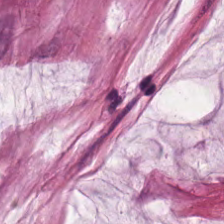Hematoxylin and eosin — Predominant tissue = extracellular mucin.
